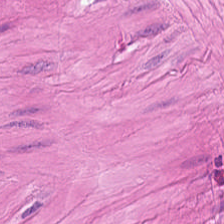Hematoxylin-and-eosin stained section.
This field is smooth-muscle tissue.
